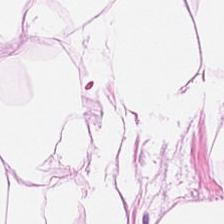Predominantly adipose tissue.
